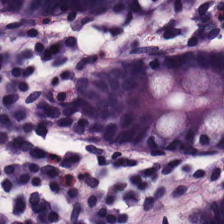H&E patch showing normal colon mucosa.
